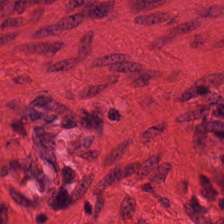WSI patch; H&E.
Tissue — smooth-muscle tissue.
